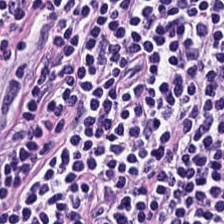The tissue here is lymphocytes.
